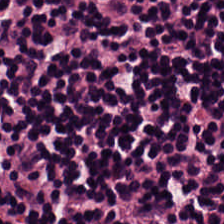Hematoxylin-and-eosin stained section.
Finding → lymphoid infiltrate.
